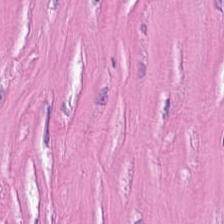H&E-stained tissue section. Predominantly tumor-associated stroma.
